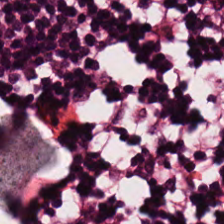FFPE. Hematoxylin and eosin. The tissue here is lymphocytes.
